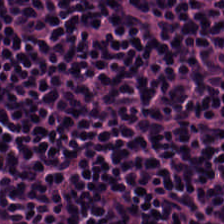H&E stain — This field is lymphocytes.
